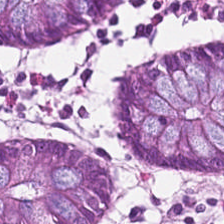Brightfield microscopy; 224×224 pixel tile; H&E-stained tissue section. Q: What tissue is shown?
A: Normal colonic mucosa.
